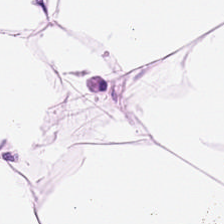H&E-stained tissue section · 224×224 px patch — {"tissue_type": "fat tissue"}
